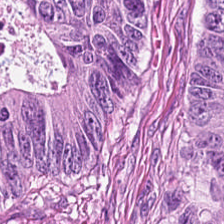H&E stain. 224×224 px tile.
Finding → adenocarcinoma.
